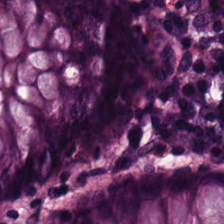H&E.
Q: What is shown in this field?
A: This is non-neoplastic colon mucosa.
